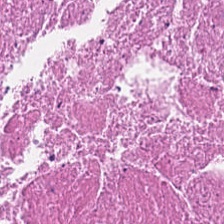Tissue = necrotic debris.
